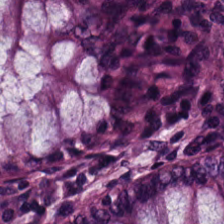Hematoxylin and eosin — Impression → non-neoplastic colon mucosa.
